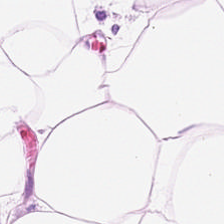Brightfield microscopy; H&E. Fat tissue.
